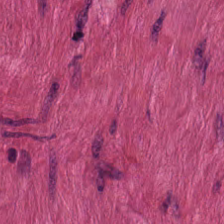H&E-stained tissue section · 224×224 px tile.
The predominant tissue is muscularis.
